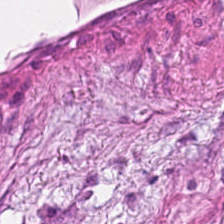Predominant tissue — tumor stroma.
